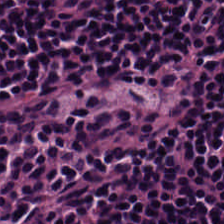H&E-stained tissue section.
Showing lymphocyte aggregate.
